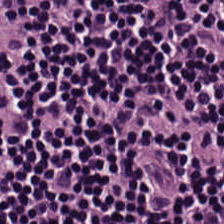Formalin-fixed paraffin-embedded section. H&E stain. Predominant tissue = lymphoid infiltrate.
